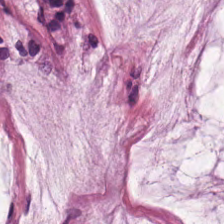H&E-stained tissue section. Tissue — mucin.
